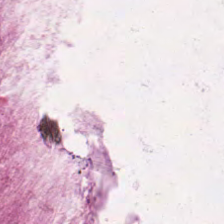0.5 µm/px · H&E.
{"tissue_type": "extracellular mucin"}
